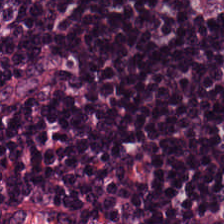The tissue class is lymphoid infiltrate.
